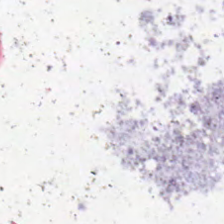Hematoxylin-and-eosin stained section; 20× equivalent magnification — This patch shows background.
